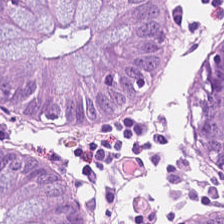Tissue type: benign colonic mucosa.
